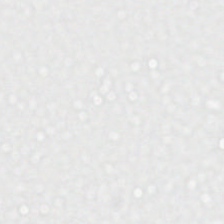H&E-stained tissue section · 0.5 microns per pixel · whole-slide-image patch. Background — no tissue in this field.
